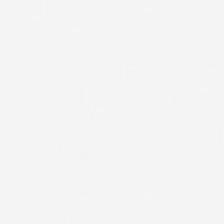224×224 pixel tile · hematoxylin and eosin · 0.5 µm per pixel. The field content is background.
